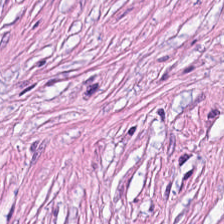Stain: hematoxylin-and-eosin stained section.
Resolution: 20× equivalent magnification.
Acquisition: brightfield microscopy.
Tissue: desmoplastic stroma.
